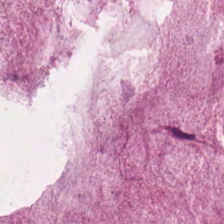20× equivalent magnification; H&E stain — Tissue class: mucin.
